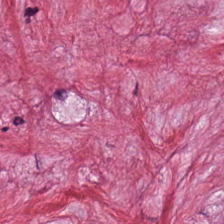H&E — The tissue here is cancer-associated stroma.
